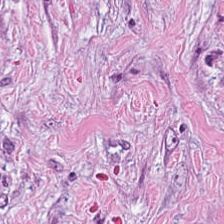Impression — tumor stroma.
